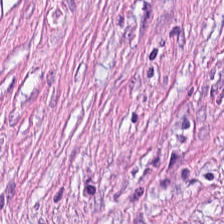H&E stain — Q: What is shown here?
A: Tumor-associated stroma.
